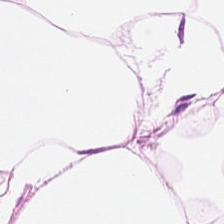Hematoxylin and eosin.
Showing adipose.
